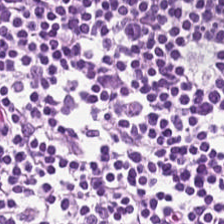The predominant tissue is lymphocytes.
